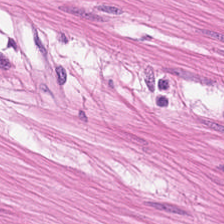H&E — This field is smooth-muscle tissue.
